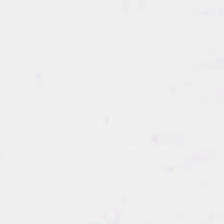Hematoxylin and eosin. Classification — background.
